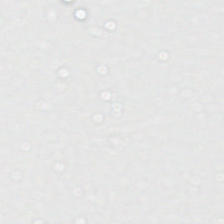H&E-stained tissue section. Q: What is shown here?
A: The field shows empty background.
